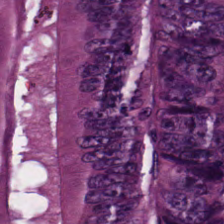Whole-slide-image patch. Hematoxylin-and-eosin stained section — This field is malignant epithelium.
